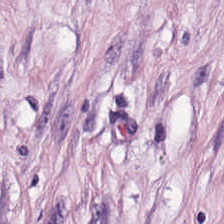H&E-stained tissue section — {"tissue_type": "tumor-associated stroma"}
